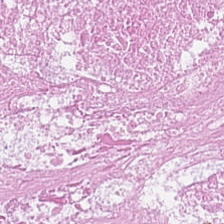Hematoxylin-and-eosin stained section. Tissue type — debris.
